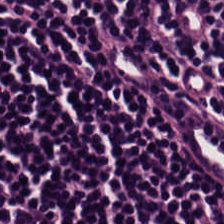Stain: H&E stain.
Tissue type: lymphocytes.
